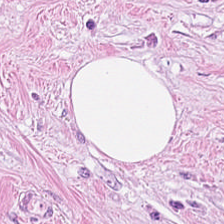0.5 µm per pixel; hematoxylin and eosin. Showing desmoplastic stroma.
